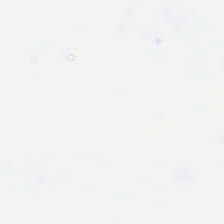Finding — background (no tissue).
